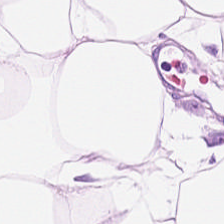This patch shows adipose.
